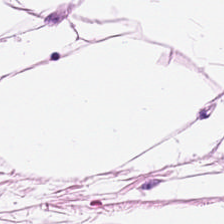This patch shows adipose tissue.
